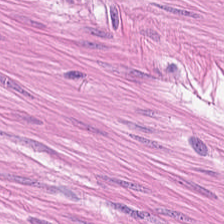H&E-stained tissue section.
Q: What is shown here?
A: The field shows muscularis.
